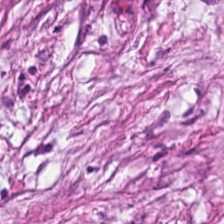H&E; formalin-fixed paraffin-embedded section — This patch shows tumor stroma.
